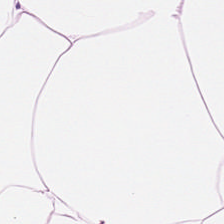Showing adipose tissue.
